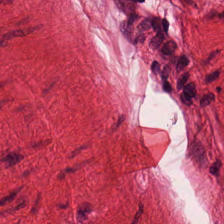224×224 px tile · H&E. Impression — smooth muscle.
